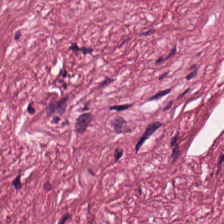Stain: H&E-stained tissue section.
Preparation: formalin-fixed paraffin-embedded section.
Resolution: 0.5 microns per pixel.
Tissue class: cancer-associated stroma.
